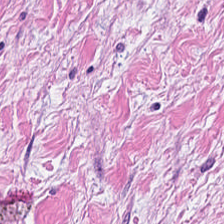0.5 µm per pixel; hematoxylin and eosin — Tissue class = tumor-associated stroma.
